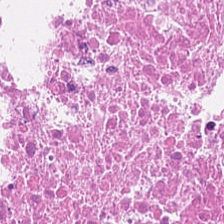Hematoxylin-and-eosin stained section · formalin-fixed paraffin-embedded section.
{"tissue_type": "debris"}
